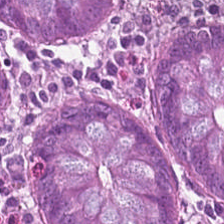0.5 µm/px · H&E stain. Finding — non-neoplastic colon mucosa.
